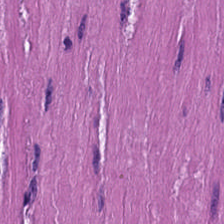FFPE · hematoxylin-and-eosin stained section — Tissue class: smooth muscle.
